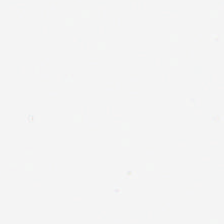224×224 px patch; hematoxylin and eosin; FFPE tissue section. No tissue.
